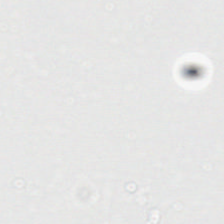Brightfield microscopy. Hematoxylin and eosin — Impression — empty background.
